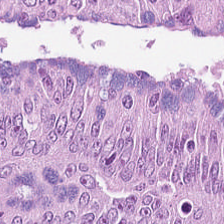H&E stain · WSI patch · FFPE tissue section.
Predominantly malignant epithelium.
